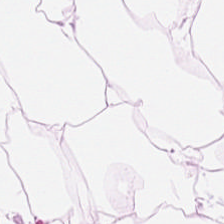224×224 px patch; hematoxylin-and-eosin stained section.
Histology → fat tissue.
